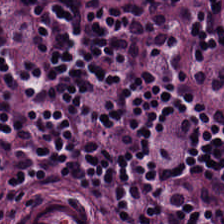Stain: hematoxylin and eosin.
Tissue type: lymphoid infiltrate.
